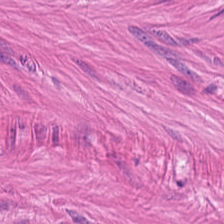FFPE tissue section · 0.5 µm/px · hematoxylin and eosin — The predominant tissue is smooth muscle.
